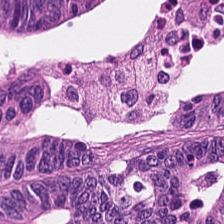224×224 px patch. 0.5 microns per pixel. Hematoxylin-and-eosin stained section — Tissue type — colorectal adenocarcinoma.
